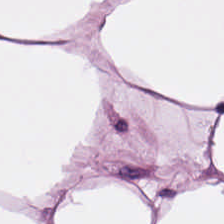Q: What is shown here?
A: This is adipose.
